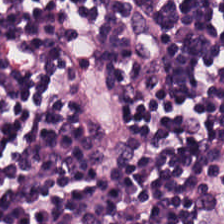Stain: H&E stain.
Acquisition: brightfield microscopy.
Tissue type: lymphocyte aggregate.
